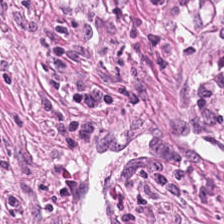Stain: hematoxylin-and-eosin stained section.
Classification: tumor-associated stroma.
